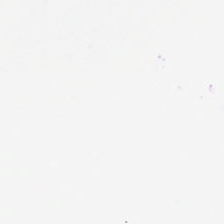H&E-stained tissue section.
Impression — background.
